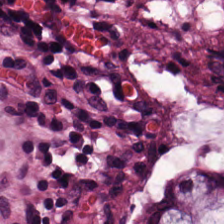H&E-stained tissue section — Predominant tissue: non-neoplastic colon mucosa.
